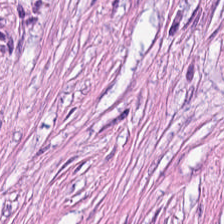0.5 microns per pixel. H&E stain. Brightfield. Q: What type of tissue is this?
A: Desmoplastic stroma.
